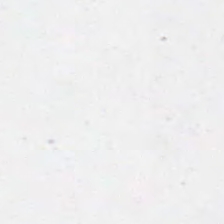Classification: background.
